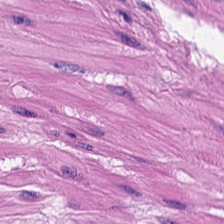Q: What type of tissue is this?
A: Smooth-muscle tissue.
